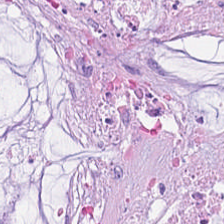224×224 px patch. H&E-stained tissue section. FFPE tissue section — Classification = extracellular mucin.
